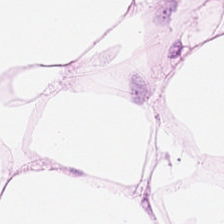H&E.
The tissue is adipose tissue.
